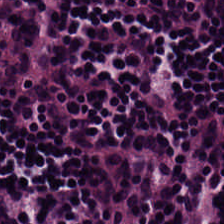H&E stain.
The tissue type is lymphocytes.
